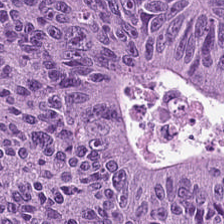Stain: hematoxylin and eosin.
Tissue: colorectal adenocarcinoma epithelium.
